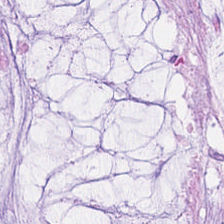Stain: H&E-stained tissue section.
Tile size: 224×224 px tile.
Acquisition: WSI patch.
Classification: mucin.
